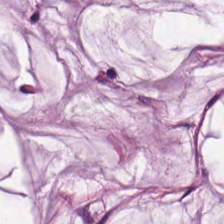H&E stain; FFPE.
Finding → mucin.
